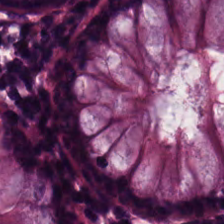Hematoxylin-and-eosin stained section — Q: What is shown here?
A: This is normal colonic mucosa.
